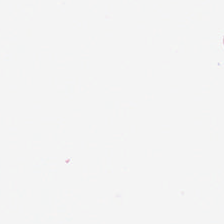H&E stain — No tissue.
